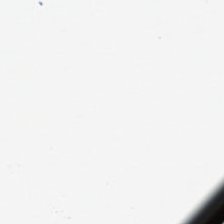Hematoxylin-and-eosin stained section. Content: empty background.
